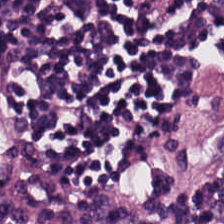H&E-stained tissue section. This field is lymphocytes.
